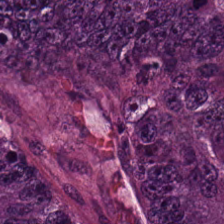Brightfield; H&E stain — This patch shows malignant epithelium.
